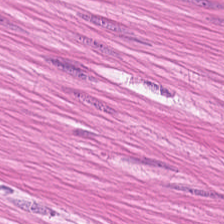Hematoxylin and eosin.
Q: What is the predominant tissue type?
A: This is smooth-muscle tissue.
